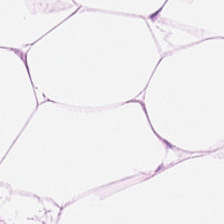20× equivalent magnification. H&E. FFPE.
Adipose tissue.
